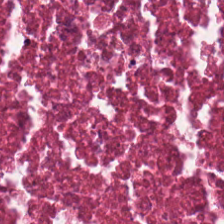Q: What tissue is shown?
A: Necrotic debris.
